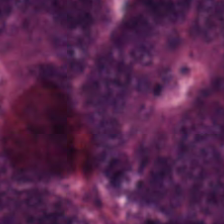H&E-stained tissue section — This patch shows tumor epithelium.
